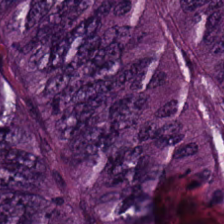FFPE. 224×224 pixel tile. H&E stain — Q: What is the predominant tissue type?
A: The field shows adenocarcinoma.
